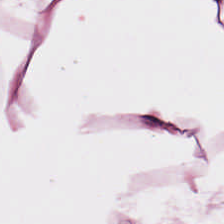H&E-stained tissue section showing adipose.
